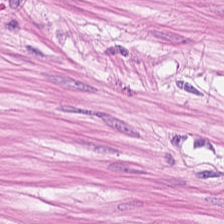H&E stain — The tissue class is muscularis.
